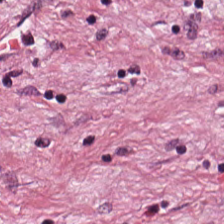H&E stain. The predominant tissue is tumor-associated stroma.
